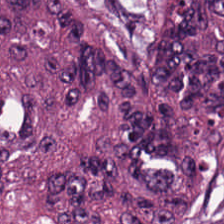H&E-stained tissue section.
The tissue here is adenocarcinoma.
